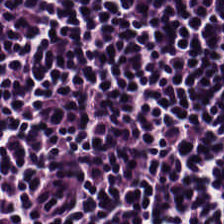H&E-stained tissue section. Impression — lymphocytes.
